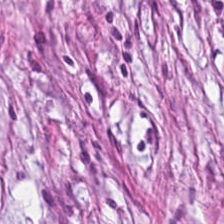H&E patch showing desmoplastic stroma.
